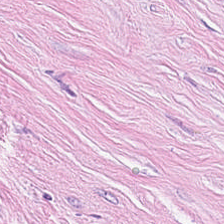Hematoxylin-and-eosin stained section — This patch shows desmoplastic stroma.
